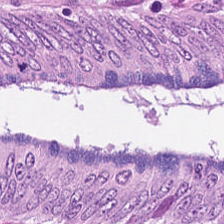Stain: H&E.
Classification: colorectal adenocarcinoma.
